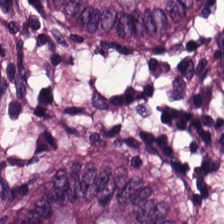Hematoxylin and eosin. FFPE — {"tissue_type": "normal colonic mucosa"}
